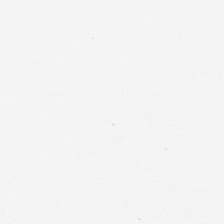Q: What does this patch show?
A: This is empty background.
